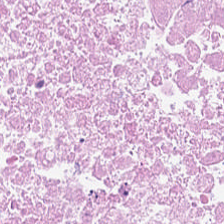WSI patch; hematoxylin-and-eosin stained section; formalin-fixed paraffin-embedded section.
Q: What type of tissue is this?
A: It is debris.
